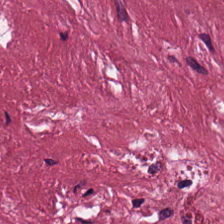Brightfield microscopy; H&E stain; formalin-fixed paraffin-embedded section. Showing tumor-associated stroma.
